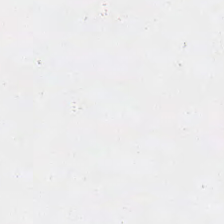H&E — Q: What does this patch show?
A: This is background (no tissue).
